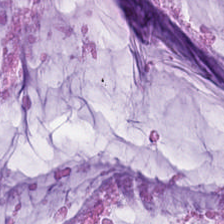Showing extracellular mucin.
